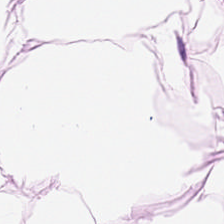H&E stain.
This patch shows adipose tissue.
